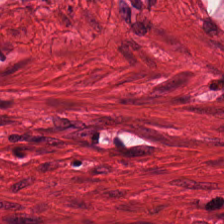Brightfield · 224×224 px patch · hematoxylin and eosin — Muscularis.
